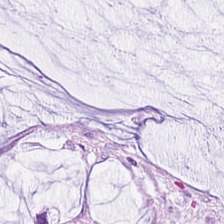20× equivalent magnification. H&E-stained tissue section.
Classification — mucin.
